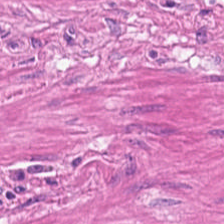Hematoxylin-and-eosin stained section. 0.5 µm/px. FFPE — {"tissue_type": "muscularis"}
